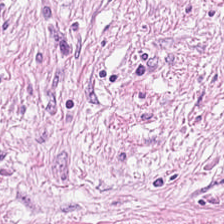Stain: hematoxylin-and-eosin stained section.
Resolution: 0.5 µm per pixel.
Tissue: tumor stroma.
